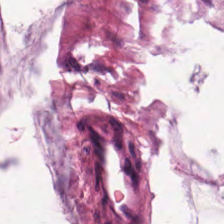Hematoxylin-and-eosin stained section; 224×224 pixel tile. Finding — extracellular mucin.
